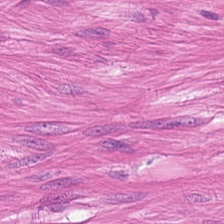H&E-stained tissue section showing smooth muscle.
